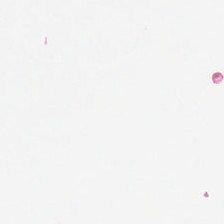H&E.
Content — empty background.
